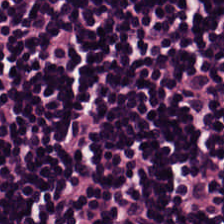Stain: hematoxylin and eosin.
Tissue: lymphoid infiltrate.
